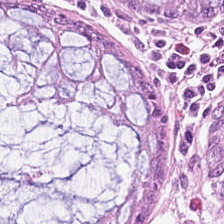Hematoxylin-and-eosin stained section.
Q: What does this patch show?
A: This is normal colonic mucosa.
